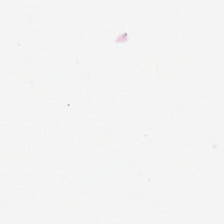Hematoxylin and eosin.
This patch shows no tissue.
